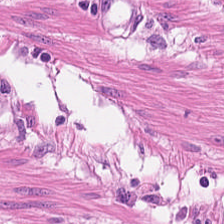H&E patch showing muscularis.
